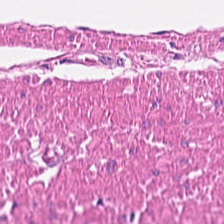Hematoxylin-and-eosin stained section.
Histology — muscularis.
